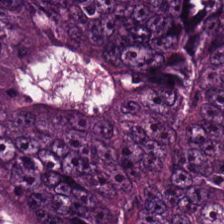H&E-stained tissue section.
Q: What is shown in this field?
A: This is tumor epithelium.
